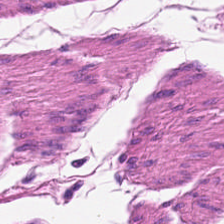H&E stain; 224×224 px patch — Smooth muscle.
